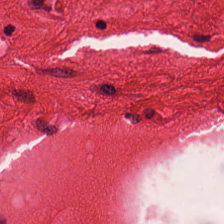Finding → muscularis.
